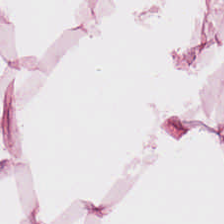Stain: H&E stain.
Tile size: 224×224 px patch.
Classification: adipose tissue.
